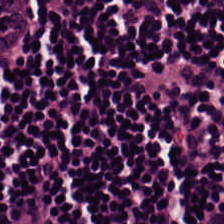Predominant tissue: lymphocytes.
